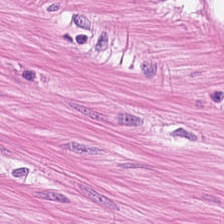This field is smooth muscle.
